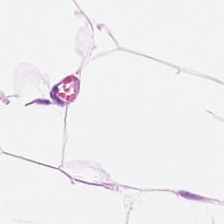Hematoxylin and eosin. Adipose.
